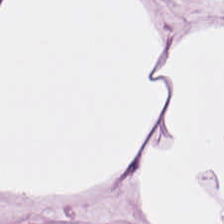224×224 pixel tile; H&E-stained tissue section. {"tissue_type": "fat tissue"}
